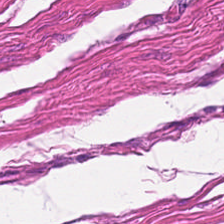Q: What is shown here?
A: The field shows muscularis.
